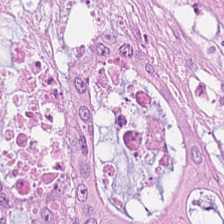Stain: H&E-stained tissue section.
Tile size: 224×224 px tile.
Classification: colorectal adenocarcinoma.
